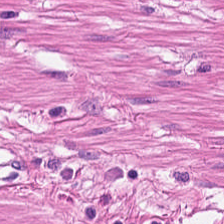H&E-stained tissue section. Smooth muscle.
